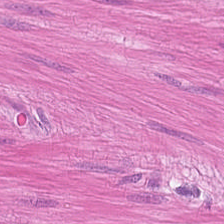20× equivalent magnification. H&E stain. 224×224 px patch.
Finding — smooth muscle.
